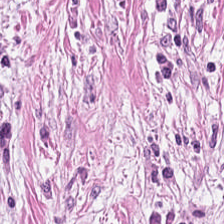0.5 µm/px · hematoxylin-and-eosin stained section.
Cancer-associated stroma.
